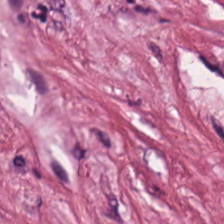224×224 px tile · H&E stain · 0.5 µm/px — The tissue here is tumor-associated stroma.
